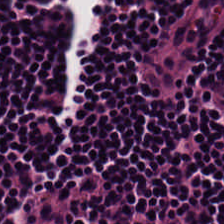H&E-stained tissue section — The predominant tissue is lymphoid infiltrate.
